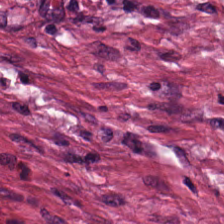H&E.
Q: What tissue type is shown here?
A: This is tumor-associated stroma.
